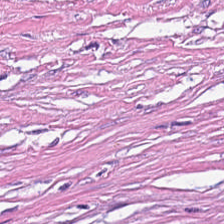Finding — tumor-associated stroma.
